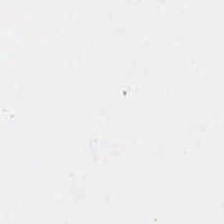Classification: empty background.
